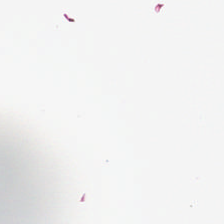H&E stain — Background.
